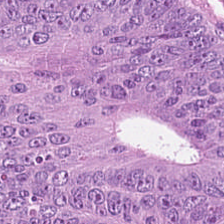H&E stain. Predominant tissue: tumor epithelium.
